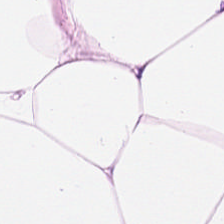H&E stain — Adipose tissue.
